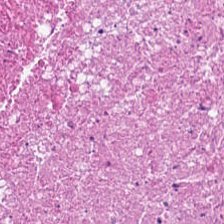Hematoxylin and eosin — Finding → debris.
